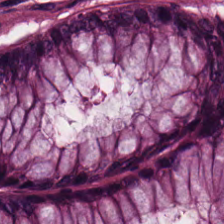The tissue is normal colonic mucosa.
